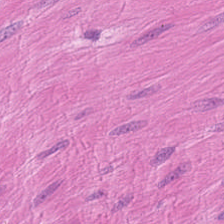Hematoxylin and eosin.
This patch shows smooth muscle.
